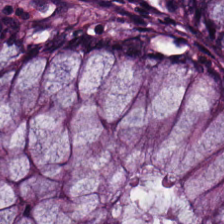{"tissue_type": "benign colonic mucosa"}
